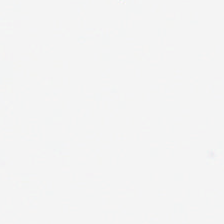224×224 px tile. FFPE tissue section. H&E. Field content: empty background.
